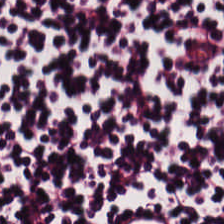Stain: H&E stain.
Classification: lymphocytes.
